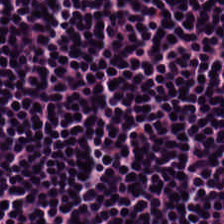Hematoxylin-and-eosin stained section.
The tissue class is lymphocytic infiltrate.
